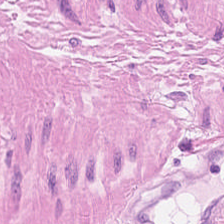Hematoxylin and eosin. The tissue here is muscularis.
